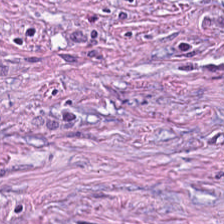Hematoxylin-and-eosin stained section.
Q: What is shown here?
A: This is tumor stroma.
